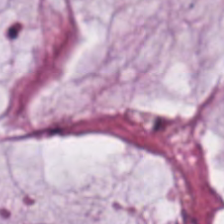Predominant tissue = mucin.
